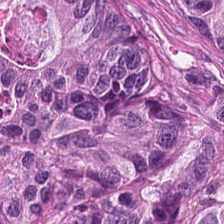H&E. This patch shows malignant epithelium.
